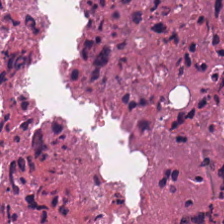H&E stain — Predominantly debris.
